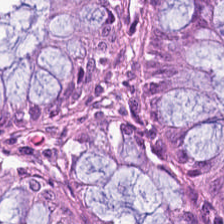Hematoxylin and eosin — Showing normal colonic mucosa.
